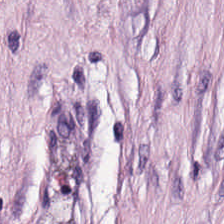This patch shows tumor-associated stroma.
